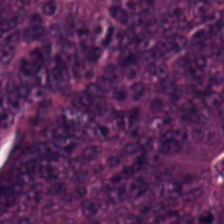Whole-slide-image patch; H&E-stained tissue section.
The tissue class is colorectal adenocarcinoma epithelium.
